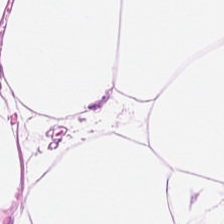Hematoxylin-and-eosin stained section · WSI patch — Showing adipose.
